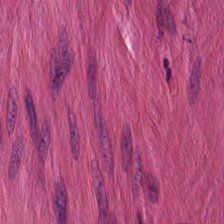H&E-stained tissue section. The tissue here is muscularis.
